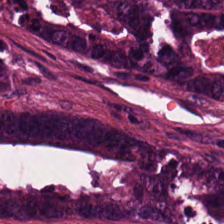Hematoxylin and eosin — The predominant tissue is tumor epithelium.
